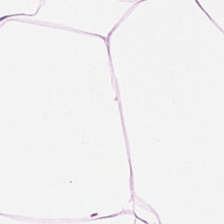Hematoxylin-and-eosin stained section — Q: What is shown in this field?
A: It is adipocytes.
